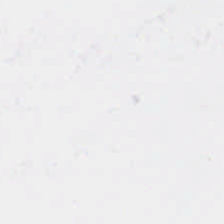H&E — Classification — empty background.
